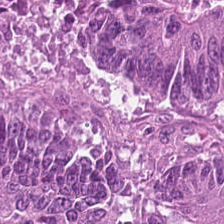The predominant tissue is colorectal adenocarcinoma epithelium.
